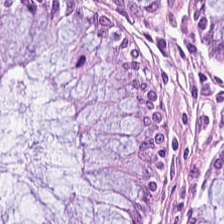The predominant tissue is normal colon mucosa.
